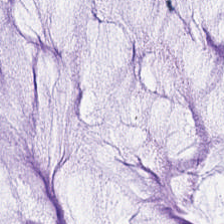H&E.
Impression — extracellular mucin.
